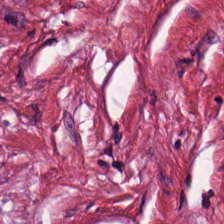Hematoxylin and eosin · 0.5 µm per pixel. This field is cancer-associated stroma.
